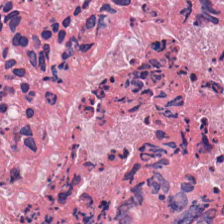Hematoxylin-and-eosin stained section. Tissue: cellular debris.
